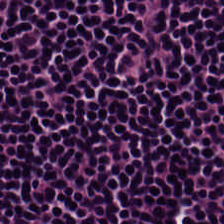Hematoxylin-and-eosin stained section. Q: What does this patch show?
A: It is lymphocytes.
